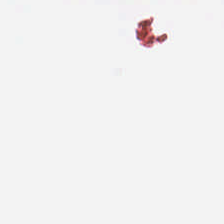Brightfield; H&E stain.
Empty field — empty background.
